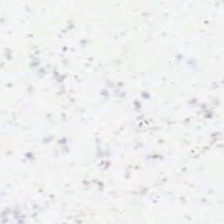Stain: H&E.
Classification: no tissue.
